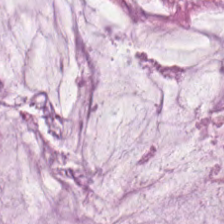20× equivalent magnification. H&E-stained tissue section.
Predominant tissue = mucus.
